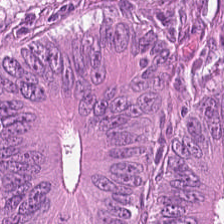0.5 µm per pixel; hematoxylin-and-eosin stained section.
Q: What does this patch show?
A: This is malignant epithelium.
